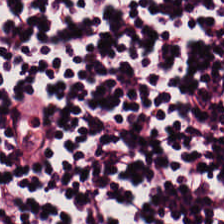Stain: hematoxylin and eosin.
Resolution: 0.5 µm/px.
Acquisition: brightfield.
Tissue type: lymphocyte aggregate.
